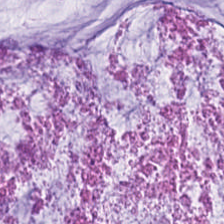Hematoxylin-and-eosin stained section. {"tissue_type": "extracellular mucin"}
